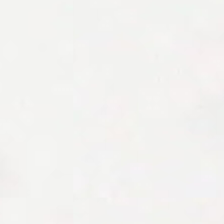Hematoxylin-and-eosin stained section. Background — no tissue in this field.
